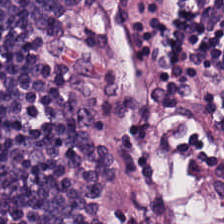H&E. Classification: lymphocytic infiltrate.
